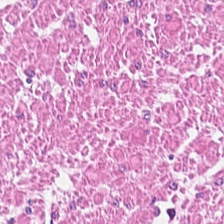H&E-stained tissue section — {"tissue_type": "smooth muscle"}
